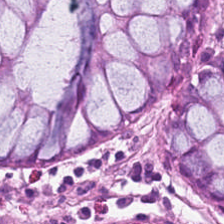H&E stain; 0.5 µm/px; formalin-fixed paraffin-embedded section.
{"tissue_type": "normal colon mucosa"}
